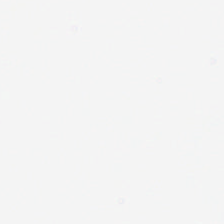Brightfield microscopy; hematoxylin and eosin.
This field is background (no tissue).
